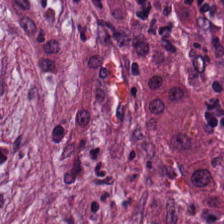Stain: H&E-stained tissue section.
Resolution: 0.5 µm per pixel.
Tissue type: desmoplastic stroma.
